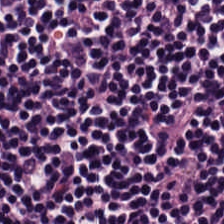Showing lymphocytic infiltrate.
